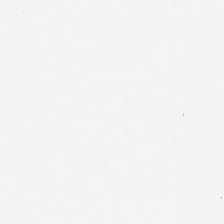Stain: hematoxylin-and-eosin stained section.
Resolution: 0.5 µm per pixel.
Classification: empty background.
